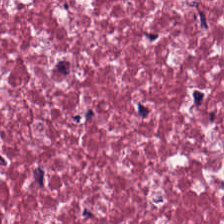Stain: hematoxylin and eosin.
Resolution: 0.5 µm per pixel.
Tissue: tumor stroma.
